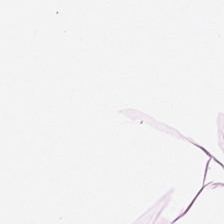Hematoxylin and eosin.
Finding → adipose tissue.
